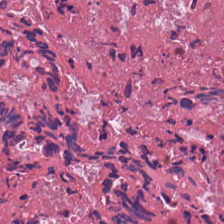H&E-stained tissue section showing necrotic debris.
